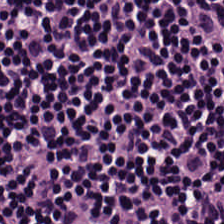Stain: H&E stain.
Tissue type: lymphocyte aggregate.
